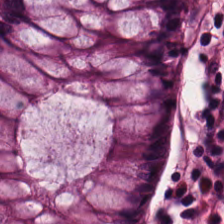Predominant tissue: normal colonic mucosa.
